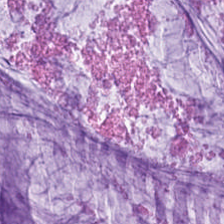H&E. Histology → mucus.
